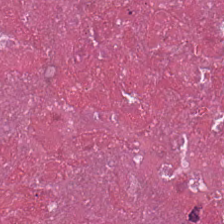0.5 microns per pixel. FFPE tissue section. H&E-stained tissue section.
Showing necrotic debris.
